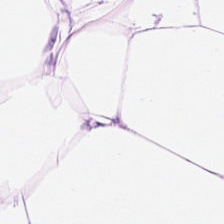H&E-stained tissue section. 20× equivalent magnification. Adipose tissue.
